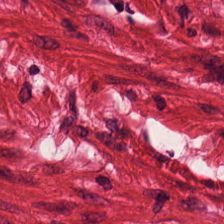Hematoxylin and eosin. 0.5 µm per pixel.
Showing smooth muscle.
